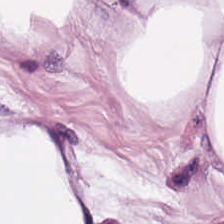Q: What is shown here?
A: Fat tissue.
